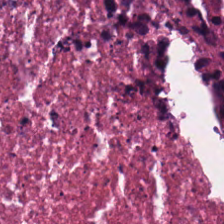Stain: hematoxylin and eosin.
Resolution: 0.5 microns per pixel.
Classification: debris.
